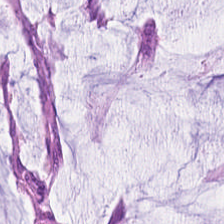H&E stain · WSI patch.
Classification = mucin.
